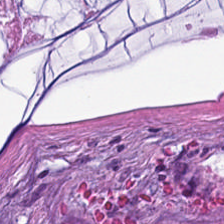H&E · 0.5 µm per pixel — {"tissue_type": "extracellular mucin"}
